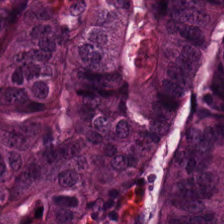224×224 px patch; 20× equivalent magnification; H&E. Tissue class = adenocarcinoma.
